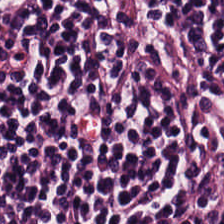H&E — Tissue — lymphocyte aggregate.
